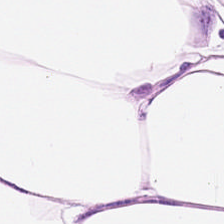224×224 px tile. Hematoxylin and eosin. The tissue type is adipocytes.
